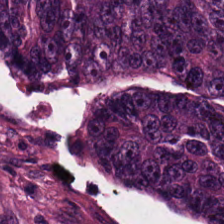0.5 µm per pixel; hematoxylin and eosin; FFPE.
Impression → malignant epithelium.
